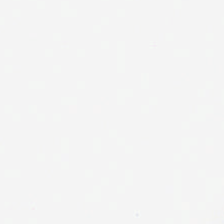FFPE tissue section · hematoxylin and eosin.
This field is background (no tissue).
